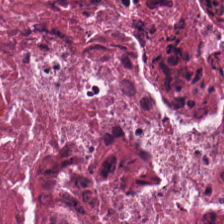Hematoxylin-and-eosin stained section — Predominant tissue = debris.
